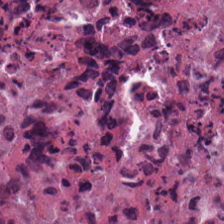Cellular debris.
